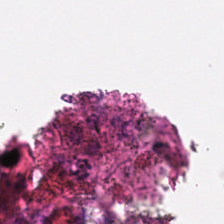Brightfield microscopy. H&E-stained tissue section. Formalin-fixed paraffin-embedded section. Impression → background (no tissue).
